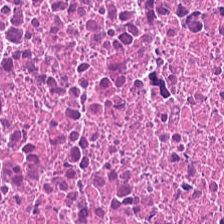H&E stain. Q: Classify this patch.
A: The field shows debris.
